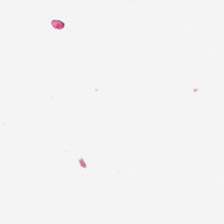Finding → background.
